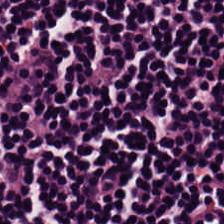Hematoxylin and eosin — Histology → lymphocyte aggregate.
